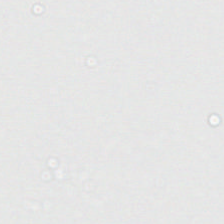H&E stain · formalin-fixed paraffin-embedded section.
The field content is no tissue.
